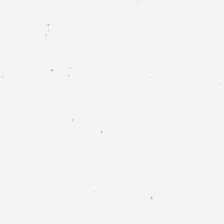This field is background (no tissue).
